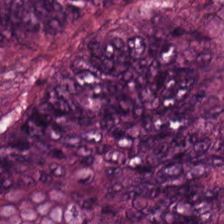The predominant tissue is mucin.
